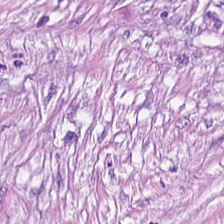Q: What is shown in this field?
A: Tumor-associated stroma.
